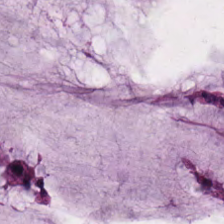This patch shows mucin.
